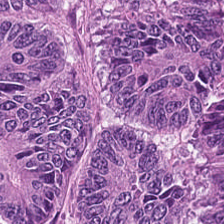Tissue type = tumor epithelium.
